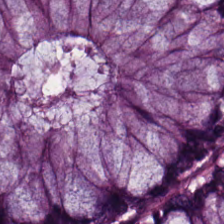Hematoxylin-and-eosin stained section. The classification is normal colonic mucosa.
